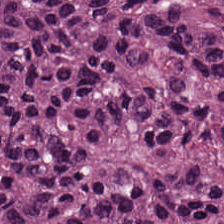H&E-stained tissue section — Adenocarcinoma.
